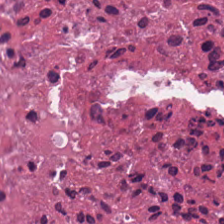Tissue type: debris.
